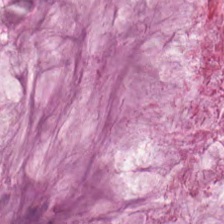FFPE; hematoxylin-and-eosin stained section; 224×224 px tile — Predominant tissue — mucus.
